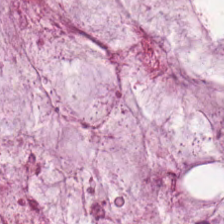Stain: H&E stain.
Preparation: formalin-fixed paraffin-embedded section.
Tissue type: extracellular mucin.
